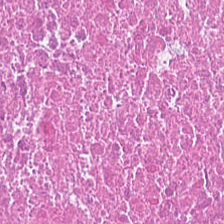H&E stain · FFPE tissue section · 224×224 px patch — Predominantly debris.
